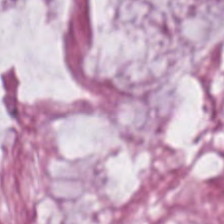Stain: H&E.
Resolution: 0.5 µm per pixel.
Tissue class: mucus.
